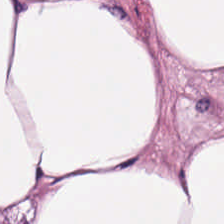The tissue type is fat tissue.
